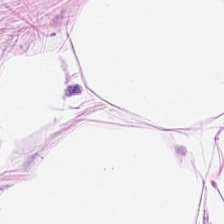H&E-stained tissue section. Predominantly adipose.
